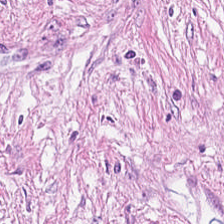H&E stain — Tumor-associated stroma.
